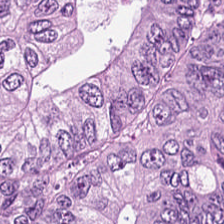Hematoxylin and eosin. Finding — colorectal adenocarcinoma.
